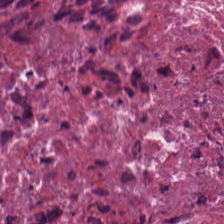Hematoxylin-and-eosin stained section; 224×224 px tile. Classification — cellular debris.
